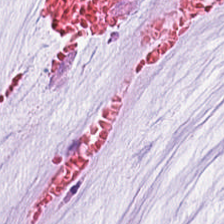Hematoxylin and eosin. 0.5 microns per pixel. Extracellular mucin.
